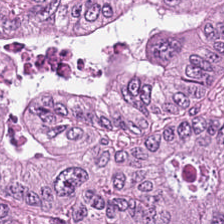H&E — colorectal adenocarcinoma.
